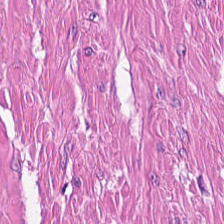Stain: H&E.
Tissue: muscularis.
